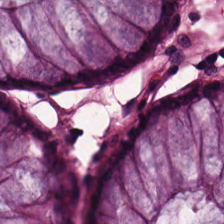The tissue here is normal colon mucosa.
